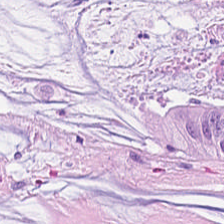Hematoxylin-and-eosin stained section — Showing mucin.
